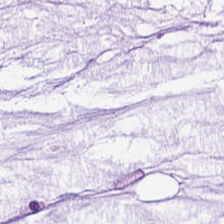224×224 px patch · brightfield · hematoxylin-and-eosin stained section.
Q: What is the predominant tissue type?
A: Mucus.
